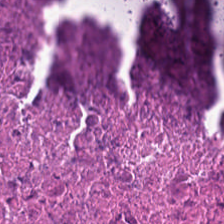Tissue class = cellular debris.
